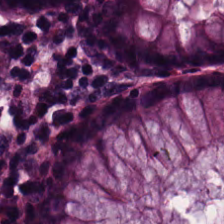H&E-stained tissue section.
Finding — normal colon mucosa.
